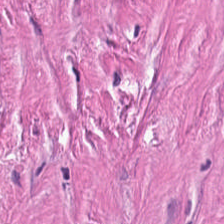H&E · 224×224 px tile — The predominant tissue is tumor-associated stroma.
